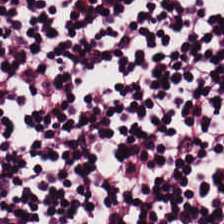0.5 µm per pixel. Hematoxylin and eosin.
Impression → lymphocytic infiltrate.
